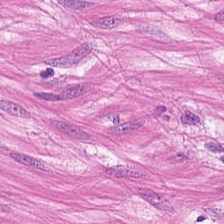FFPE tissue section · H&E stain · 20× equivalent magnification. This patch shows smooth-muscle tissue.
